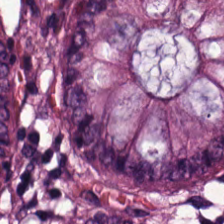FFPE · H&E. Impression → non-neoplastic colon mucosa.
